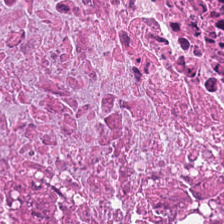Hematoxylin and eosin. Q: What does this patch show?
A: It is necrotic debris.
